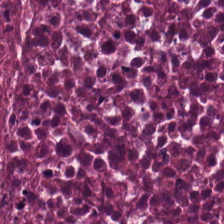Hematoxylin-and-eosin stained section. This patch shows debris.
